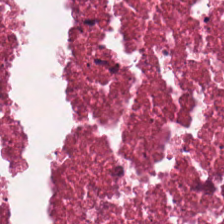Tissue type = cellular debris.
